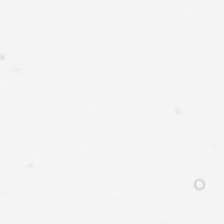H&E stain. {"content": "background (no tissue)"}
